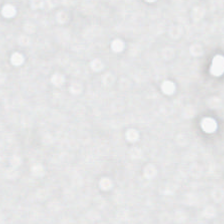Hematoxylin and eosin.
Content = background (no tissue).
